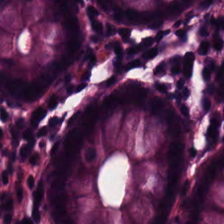Hematoxylin-and-eosin section: normal colon mucosa.
